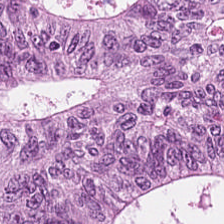H&E-stained tissue section showing colorectal adenocarcinoma epithelium.
